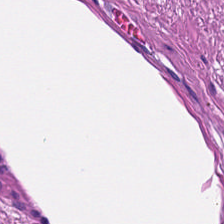Hematoxylin and eosin; formalin-fixed paraffin-embedded section — The predominant tissue is smooth muscle.
